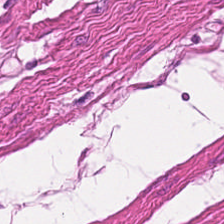The tissue type is smooth-muscle tissue.
